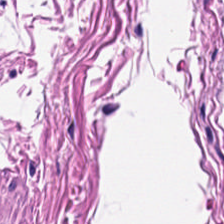H&E-stained tissue section — The tissue class is smooth-muscle tissue.
